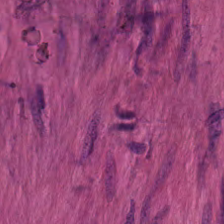The predominant tissue is smooth muscle.
